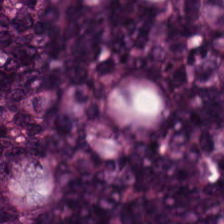Hematoxylin-and-eosin stained section — The tissue is adenocarcinoma.
